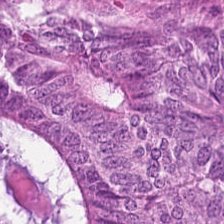FFPE tissue section · H&E · 0.5 µm/px. Q: What tissue type is shown here?
A: This is adenocarcinoma.
